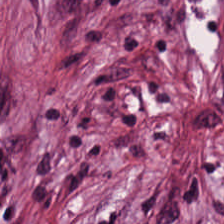H&E stain.
Tissue class: tumor stroma.
